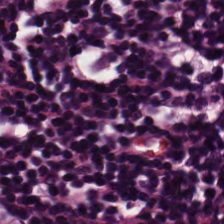H&E.
Finding — lymphocytes.
